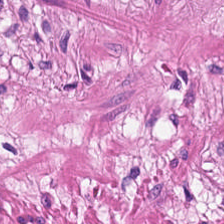H&E-stained tissue section — Histology → muscularis.
